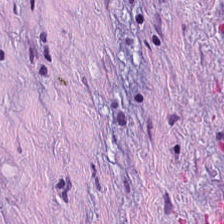H&E-stained tissue section.
The tissue here is cancer-associated stroma.
